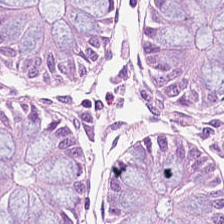Predominant tissue = normal colon mucosa.
